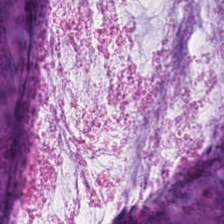H&E stain; brightfield — {"tissue_type": "mucus"}
